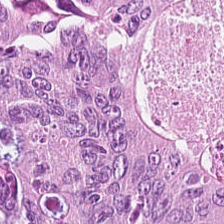FFPE tissue section; 0.5 microns per pixel; H&E-stained tissue section — This patch shows tumor epithelium.
